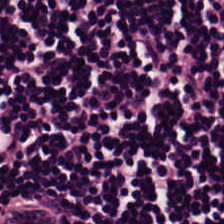Q: Classify this patch.
A: This is lymphocytic infiltrate.
